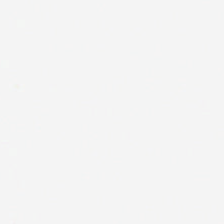Hematoxylin and eosin. Content: no tissue.
